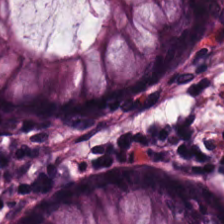WSI patch; formalin-fixed paraffin-embedded section; hematoxylin and eosin. Normal colonic mucosa.
